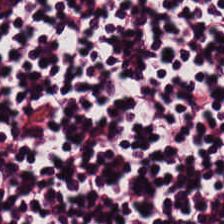H&E.
The tissue is lymphocyte aggregate.
